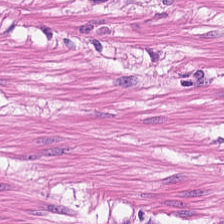Predominantly muscularis.
